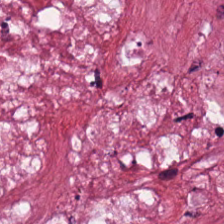H&E-stained tissue section · brightfield — The predominant tissue is cancer-associated stroma.
